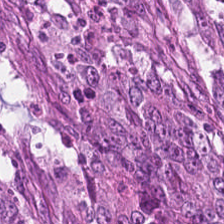Tissue: tumor epithelium.
